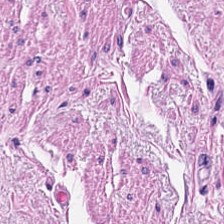Hematoxylin and eosin.
This patch shows smooth muscle.
